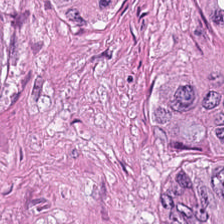Hematoxylin and eosin. Brightfield.
Predominantly adenocarcinoma.
